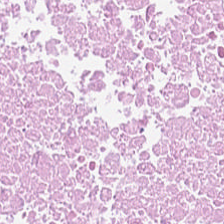0.5 µm/px · whole-slide-image patch · H&E stain.
Q: Classify this patch.
A: It is cellular debris.
